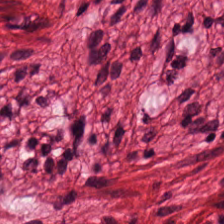Hematoxylin and eosin. This field is smooth muscle.
